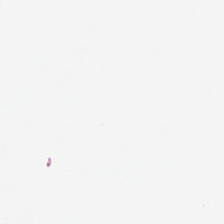H&E stain; 20× equivalent magnification.
Background — no tissue in this field.
